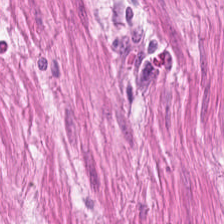Hematoxylin and eosin — Tissue = smooth-muscle tissue.
